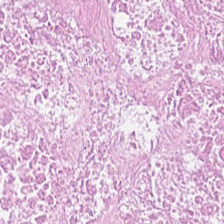H&E. Impression — debris.
